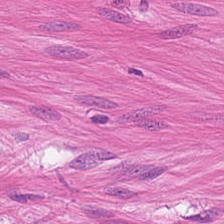Hematoxylin and eosin — Q: What does this patch show?
A: This is muscularis.
